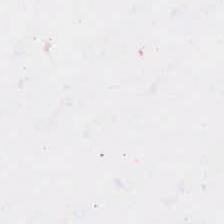224×224 px patch. Whole-slide-image patch. Hematoxylin and eosin. The field content is no tissue.
